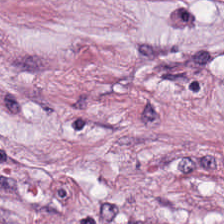Classification — cancer-associated stroma.
